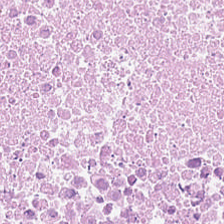224×224 px tile · H&E-stained tissue section. Classification: necrotic debris.
